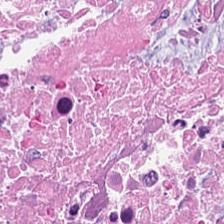H&E-stained tissue section — {"tissue_type": "cellular debris"}
